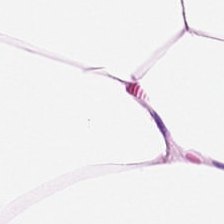H&E-stained tissue section. 224×224 pixel tile. Brightfield microscopy — Predominantly adipocytes.
